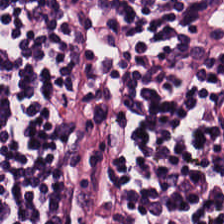H&E-stained section; the field shows lymphocytes.
